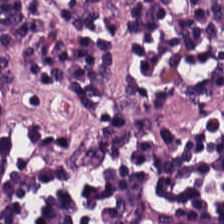Stain: H&E-stained tissue section.
Tissue: lymphoid infiltrate.
